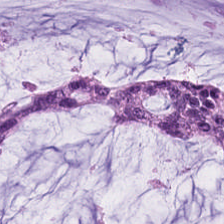H&E. This field is mucin.
